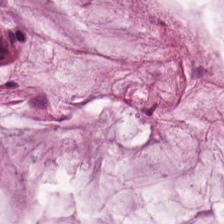Brightfield microscopy · 20× equivalent magnification · hematoxylin and eosin.
Q: What tissue type is shown here?
A: The field shows extracellular mucin.
